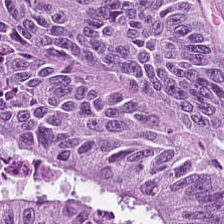Q: What is shown in this field?
A: It is tumor epithelium.
